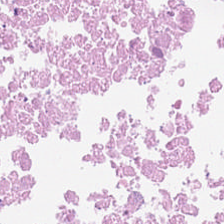Hematoxylin and eosin · 0.5 µm per pixel — The tissue is necrotic debris.
